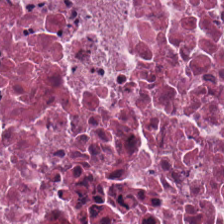H&E. 224×224 pixel tile.
Histology — necrotic debris.
